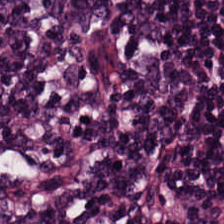H&E-stained tissue section — Impression — lymphocytes.
